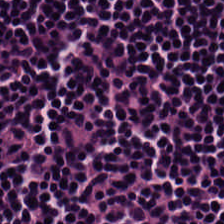This field is lymphoid infiltrate.
